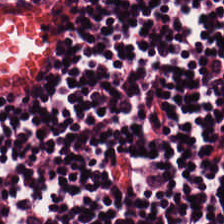224×224 pixel tile; hematoxylin and eosin — This field is lymphocytes.
